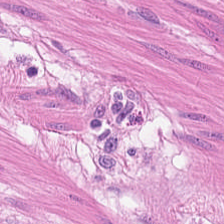FFPE. 224×224 px patch. H&E stain.
Finding → smooth-muscle tissue.
